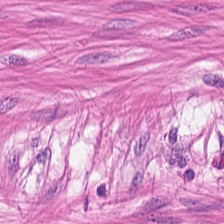Hematoxylin-and-eosin stained section. Classification = smooth muscle.
